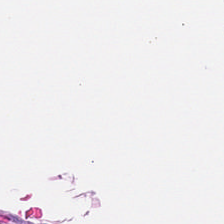224×224 pixel tile; H&E; WSI patch.
Muscularis.
